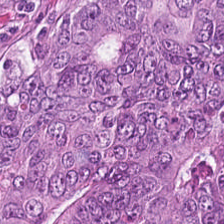H&E; 224×224 px tile.
Classification = adenocarcinoma.
